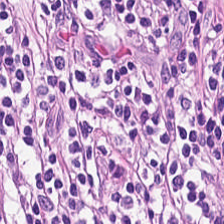224×224 px tile; H&E-stained tissue section; brightfield.
Q: Classify this patch.
A: The field shows lymphocytes.
